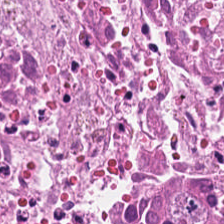H&E-stained section; the field shows necrotic debris.
